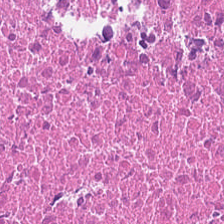Q: What is shown here?
A: The field shows necrotic debris.
